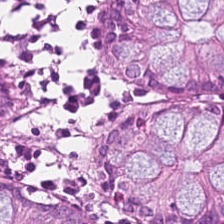Stain: hematoxylin-and-eosin stained section.
Tile size: 224×224 px tile.
Acquisition: brightfield.
Tissue class: normal colonic mucosa.
